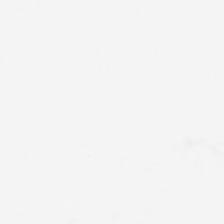Hematoxylin-and-eosin stained section · 0.5 µm per pixel.
Q: Classify this patch.
A: Background (no tissue).
